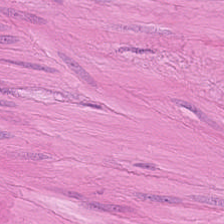H&E.
Muscularis.
